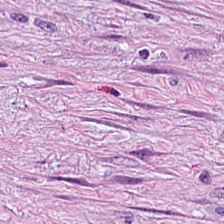Impression — tumor-associated stroma.
